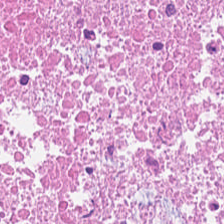H&E. {"tissue_type": "necrotic debris"}
